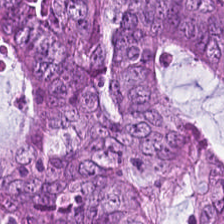The predominant tissue is malignant epithelium.
